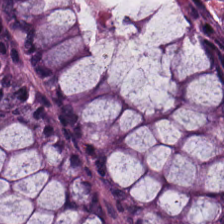Stain: H&E.
Tissue: normal colon mucosa.
